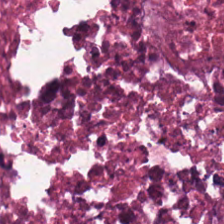H&E-stained tissue section. 0.5 µm per pixel. Q: What tissue is shown?
A: The field shows debris.
